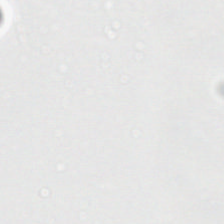The content is background.
